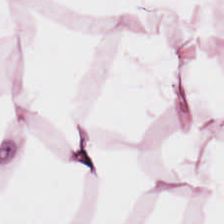FFPE tissue section. Hematoxylin and eosin. Q: What tissue type is shown here?
A: Adipose tissue.
